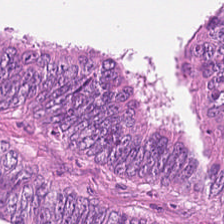Stain: hematoxylin-and-eosin stained section.
Tissue class: adenocarcinoma.
